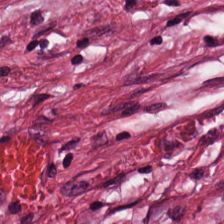224×224 px tile. H&E.
Classification = tumor stroma.
